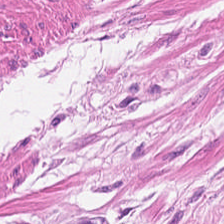224×224 pixel tile · H&E stain — Q: Identify the tissue.
A: Smooth muscle.
